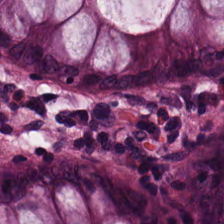H&E. Normal colon mucosa.
